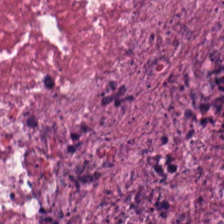Hematoxylin and eosin. {"tissue_type": "cellular debris"}
